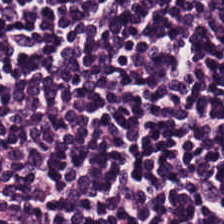Predominantly lymphocyte aggregate.
